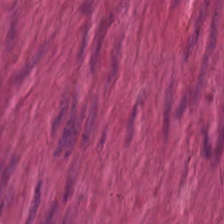Impression — smooth muscle.
